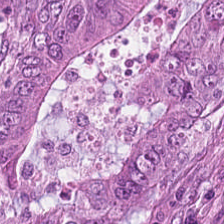Tissue type — tumor epithelium.
